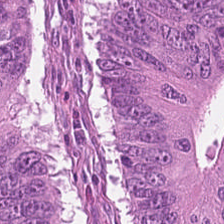Hematoxylin-and-eosin stained section. 0.5 µm per pixel.
Tissue class — adenocarcinoma.
